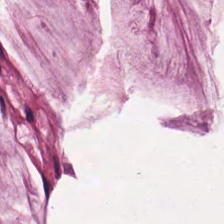Tissue = mucus.
